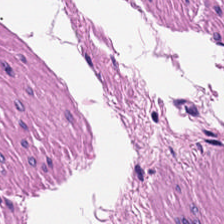H&E-stained tissue section.
Classification — muscularis.
